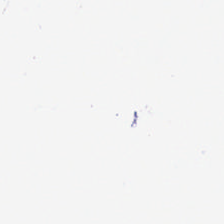Hematoxylin and eosin; FFPE tissue section — Background — no tissue in this field.
